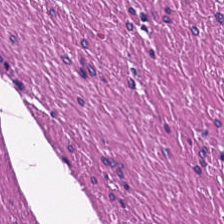20× equivalent magnification. H&E.
Q: What is shown in this field?
A: This is muscularis.
